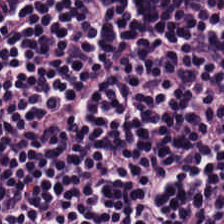The classification is lymphocytes.
